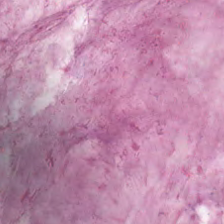224×224 px patch · 0.5 µm/px · hematoxylin and eosin.
Histology — extracellular mucin.
